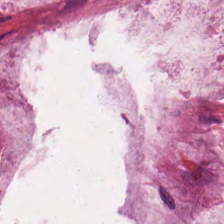WSI patch. 224×224 px tile. Hematoxylin and eosin — Q: What is shown in this field?
A: This is extracellular mucin.
